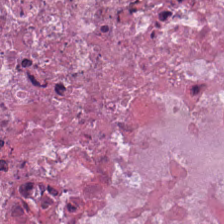224×224 px patch. Hematoxylin and eosin.
This patch shows cellular debris.
